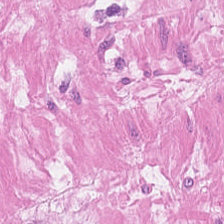Impression → muscularis.
